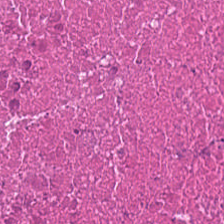H&E-stained tissue section; 224×224 px tile. This patch shows cellular debris.
